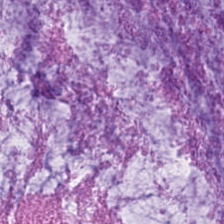H&E. FFPE. Showing mucus.
